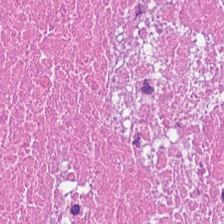Hematoxylin and eosin. 224×224 pixel tile. The tissue type is cellular debris.
